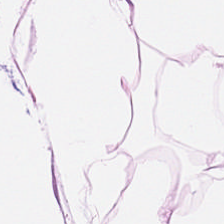Stain: H&E.
Tissue class: adipose tissue.
